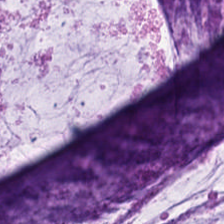Hematoxylin and eosin. {"tissue_type": "extracellular mucin"}
